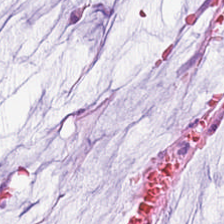224×224 px patch; H&E. Histology → extracellular mucin.
